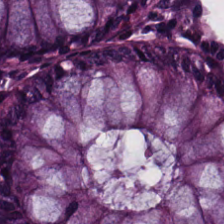H&E-stained tissue section — Tissue type = normal colon mucosa.
